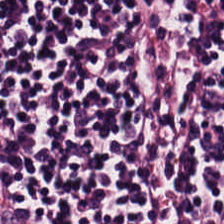Hematoxylin and eosin. Tissue = lymphocytes.
